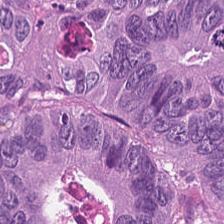The tissue is colorectal adenocarcinoma epithelium.
